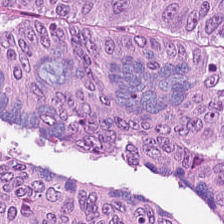H&E stain — Q: Classify this patch.
A: It is tumor epithelium.
